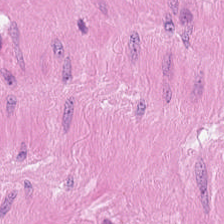H&E. Finding → smooth-muscle tissue.
